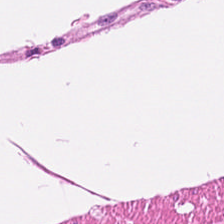Hematoxylin-and-eosin stained section — {"tissue_type": "smooth-muscle tissue"}
